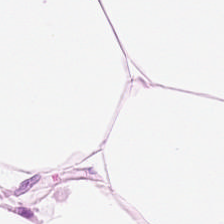Hematoxylin and eosin.
Q: What tissue type is shown here?
A: It is fat tissue.
